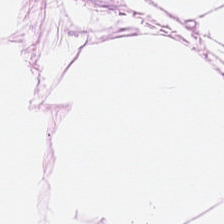Stain: H&E-stained tissue section.
Tissue type: fat tissue.
